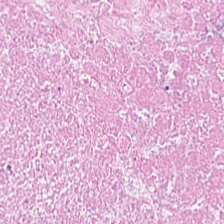H&E stain; FFPE. Showing cellular debris.
